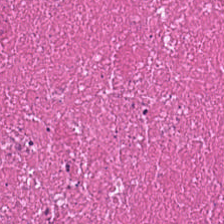Tissue: cellular debris.
